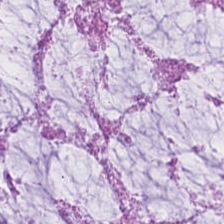Stain: hematoxylin-and-eosin stained section.
Acquisition: brightfield microscopy.
Resolution: 0.5 µm per pixel.
Predominant tissue: extracellular mucin.
